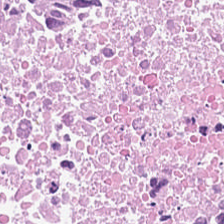H&E-stained tissue section; FFPE; 224×224 pixel tile. {"tissue_type": "necrotic debris"}
